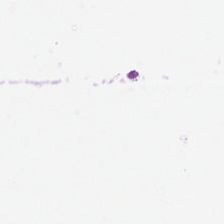Hematoxylin-and-eosin stained section. Q: Classify this patch.
A: It is background (no tissue).
